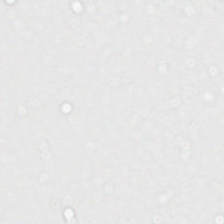Background — no tissue in this field.
